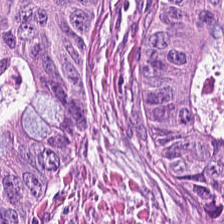H&E-stained tissue section — Predominant tissue — tumor epithelium.
